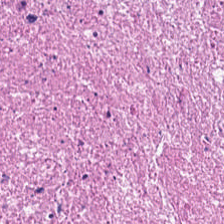Finding → cellular debris.
